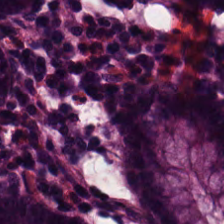H&E stain; FFPE. {"tissue_type": "benign colonic mucosa"}
